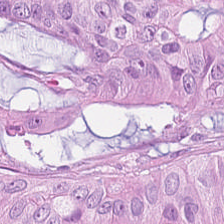H&E stain — Showing adenocarcinoma.
